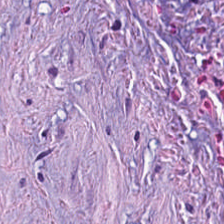H&E-stained tissue section. 224×224 px patch. Predominant tissue: tumor stroma.
